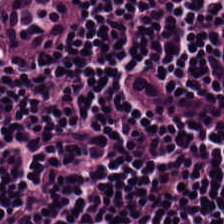H&E-stained tissue section. The predominant tissue is lymphoid infiltrate.
